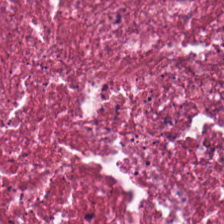FFPE · hematoxylin and eosin — The predominant tissue is debris.
